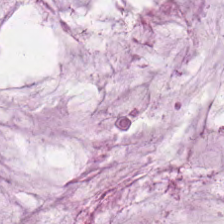Stain: H&E stain.
Preparation: FFPE.
Resolution: 0.5 microns per pixel.
Tissue class: extracellular mucin.
